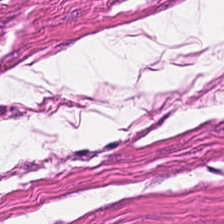H&E.
Predominant tissue = muscularis.
